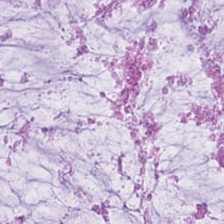0.5 microns per pixel; FFPE tissue section; H&E-stained tissue section — The tissue type is mucus.
